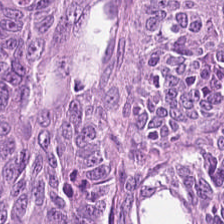Whole-slide-image patch; H&E — Q: Classify this patch.
A: Colorectal adenocarcinoma.
